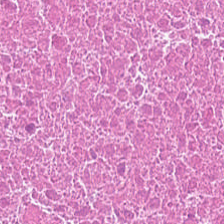Hematoxylin and eosin — Tissue class — necrotic debris.
